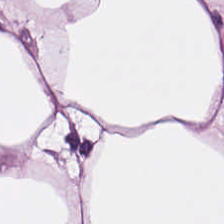Brightfield microscopy; hematoxylin and eosin; 0.5 microns per pixel. The tissue here is adipose.
